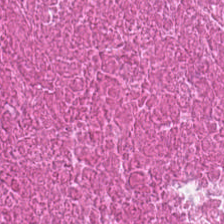Hematoxylin and eosin · 224×224 px patch.
The tissue is cellular debris.
